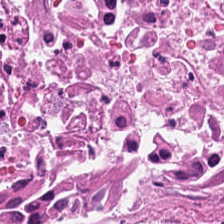20× equivalent magnification. H&E-stained tissue section. FFPE. Predominant tissue = necrotic debris.
